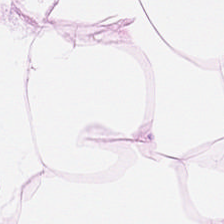Hematoxylin and eosin. Tissue class = adipose tissue.
